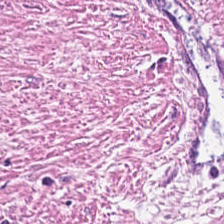Hematoxylin and eosin — Impression — cancer-associated stroma.
